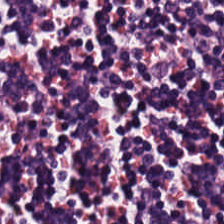Q: What does this patch show?
A: It is lymphocytes.
